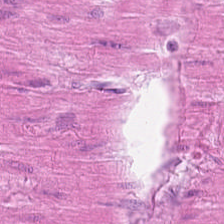Hematoxylin-and-eosin stained section; 224×224 px patch.
This field is muscularis.
